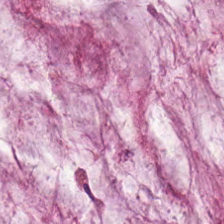H&E-stained tissue section.
Finding → mucus.
